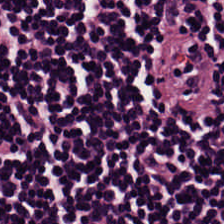This field is lymphocyte aggregate.
